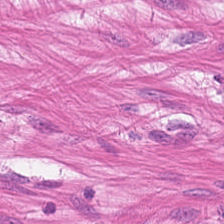H&E-stained tissue section. Classification — muscularis.
